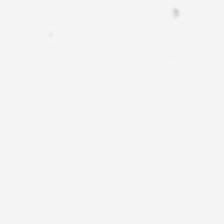H&E-stained tissue section. This field is background (no tissue).
